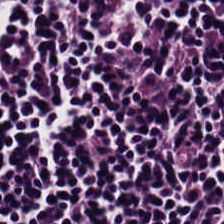H&E. 20× equivalent magnification. Whole-slide-image patch. {"tissue_type": "lymphocytes"}
